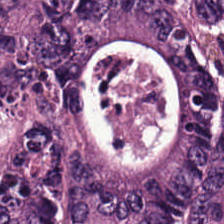H&E stain — Finding — malignant epithelium.
